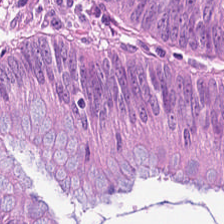Hematoxylin-and-eosin stained section; 224×224 pixel tile. The tissue here is adenocarcinoma.
